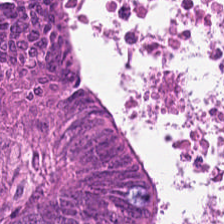0.5 microns per pixel. 224×224 px patch. H&E — The tissue is tumor epithelium.
